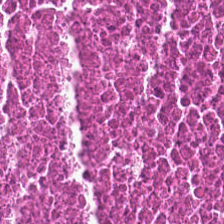Hematoxylin and eosin — Cellular debris.
